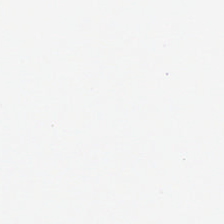Stain: hematoxylin-and-eosin stained section.
Classification: empty background.
